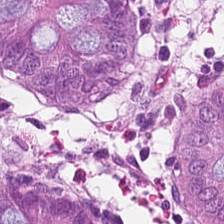H&E-stained tissue section.
The tissue here is benign colonic mucosa.
